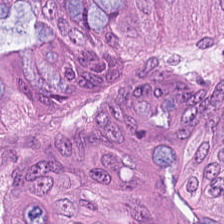Q: What tissue type is shown here?
A: The field shows tumor epithelium.
